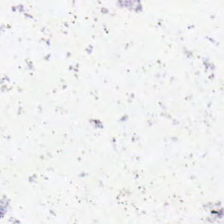H&E — No tissue present; background only.
